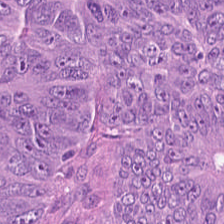Stain: H&E stain.
Resolution: 20× equivalent magnification.
Tissue type: colorectal adenocarcinoma epithelium.
